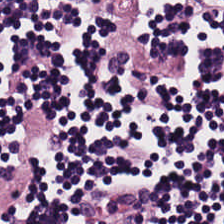This patch shows lymphocytes.
